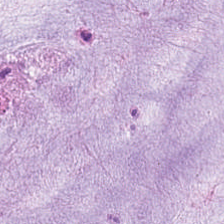Hematoxylin and eosin — Mucin.
